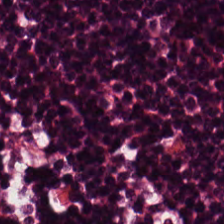H&E-stained tissue section · 0.5 microns per pixel.
The tissue is lymphocytic infiltrate.
